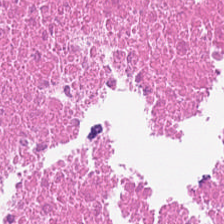Brightfield · formalin-fixed paraffin-embedded section · H&E-stained tissue section — Cellular debris.
